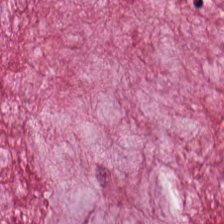H&E; FFPE tissue section. Predominant tissue — mucin.
